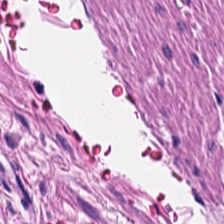This field is smooth muscle.
